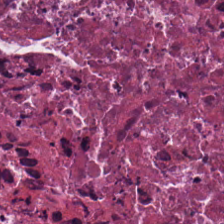H&E · formalin-fixed paraffin-embedded section. Tissue type = necrotic debris.
